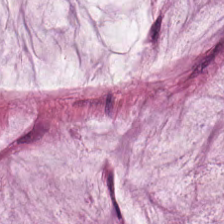Stain: hematoxylin and eosin.
Tissue class: mucus.
